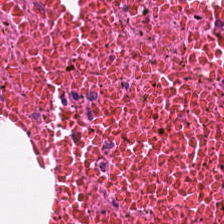Hematoxylin and eosin · FFPE · whole-slide-image patch.
Q: What does this patch show?
A: It is necrotic debris.
